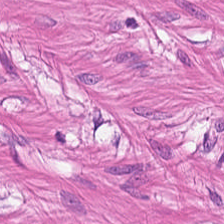H&E.
This patch shows smooth muscle.
